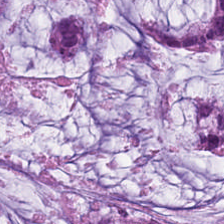Hematoxylin-and-eosin stained section — Showing mucin.
